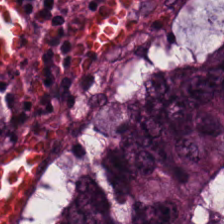H&E-stained tissue section. Brightfield microscopy. Formalin-fixed paraffin-embedded section — Histology — malignant epithelium.
